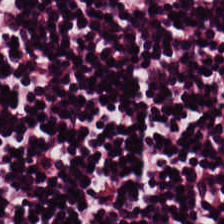Hematoxylin-and-eosin stained section — Histology → lymphocytic infiltrate.
